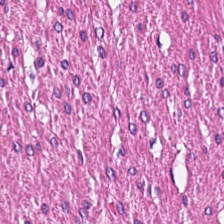H&E.
This field is smooth-muscle tissue.
